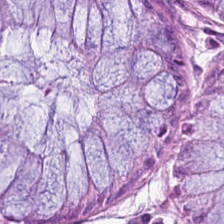Hematoxylin-and-eosin section: normal colon mucosa.
